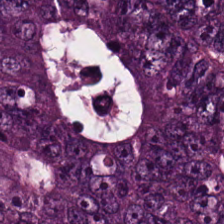H&E-stained section; the field shows malignant epithelium.
